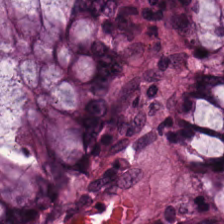Stain: H&E.
Predominant tissue: benign colonic mucosa.
